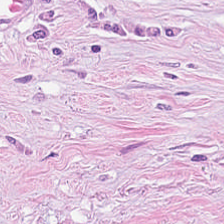Hematoxylin and eosin.
The classification is cancer-associated stroma.
